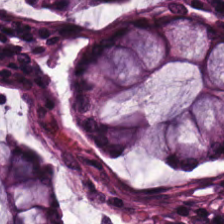Hematoxylin and eosin — Predominant tissue: benign colonic mucosa.
